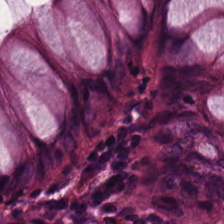H&E-stained tissue section showing normal colonic mucosa.
